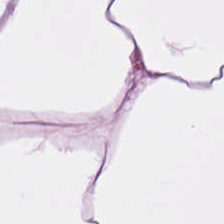H&E stain.
Tissue class = fat tissue.
